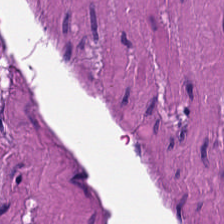Hematoxylin and eosin.
Showing smooth muscle.
